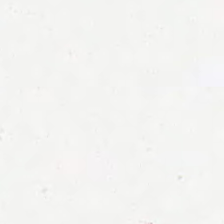H&E-stained tissue section — {"content": "empty background"}
